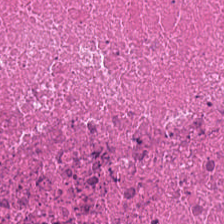20× equivalent magnification. Hematoxylin-and-eosin stained section — The classification is debris.
